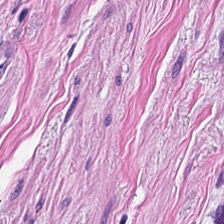H&E stain. 0.5 microns per pixel — Q: What does this patch show?
A: It is smooth muscle.
